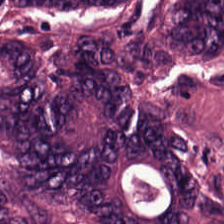H&E · FFPE tissue section · 0.5 µm per pixel.
Q: What type of tissue is this?
A: This is colorectal adenocarcinoma.
